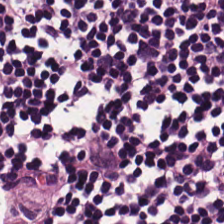Hematoxylin-and-eosin stained section. 224×224 px patch — Predominant tissue — lymphocyte aggregate.
